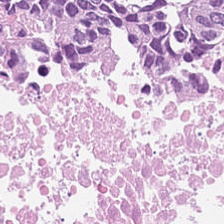Hematoxylin-and-eosin stained section.
The predominant tissue is necrotic debris.
